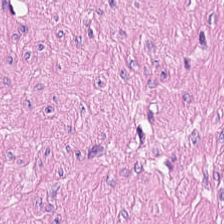Hematoxylin and eosin — Finding — muscularis.
